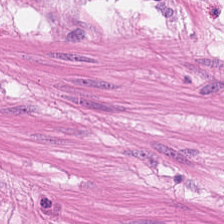Hematoxylin-and-eosin stained section — Showing smooth muscle.
